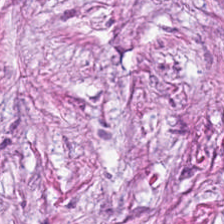Histology → tumor stroma.
